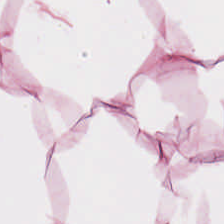H&E stain. Q: What tissue type is shown here?
A: It is adipocytes.
